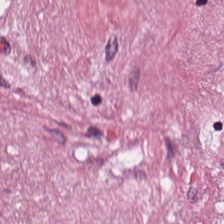224×224 px tile. Hematoxylin and eosin — Q: What does this patch show?
A: The field shows tumor-associated stroma.
